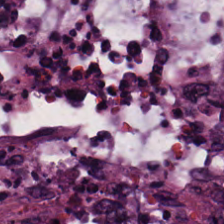Tissue type = adenocarcinoma.
